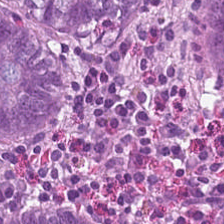Hematoxylin-and-eosin stained section.
Classification: normal colon mucosa.
